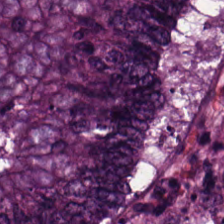Predominant tissue = adenocarcinoma.
